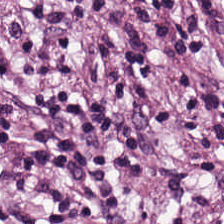Hematoxylin and eosin — Tissue class — desmoplastic stroma.
